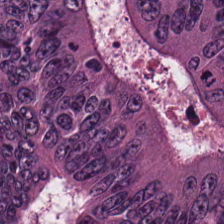Q: What tissue is shown?
A: Adenocarcinoma.
